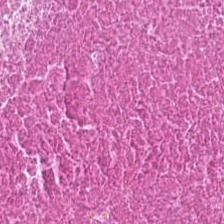H&E stain. Q: Classify this patch.
A: It is cellular debris.
